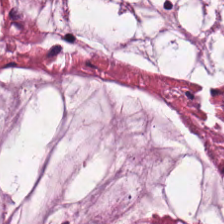H&E. The tissue class is extracellular mucin.
